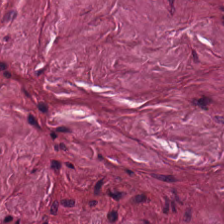Hematoxylin and eosin.
Q: What does this patch show?
A: This is tumor-associated stroma.
